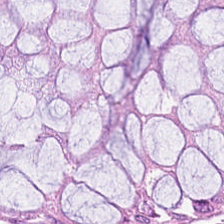Hematoxylin and eosin — Predominantly benign colonic mucosa.
